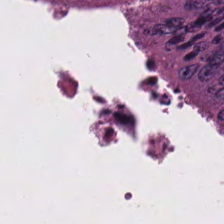H&E.
Impression → colorectal adenocarcinoma epithelium.
